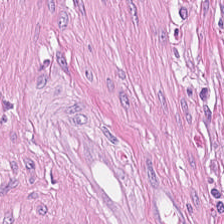224×224 px patch · H&E. Tissue class = cancer-associated stroma.
